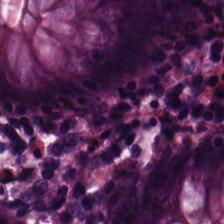H&E-stained tissue section; formalin-fixed paraffin-embedded section — The predominant tissue is normal colon mucosa.
